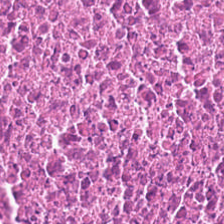Whole-slide-image patch; formalin-fixed paraffin-embedded section; hematoxylin-and-eosin stained section.
{"tissue_type": "necrotic debris"}
